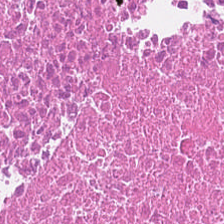H&E · 224×224 px patch. Classification: cellular debris.
